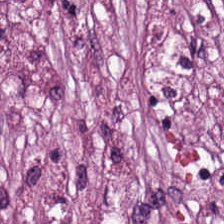0.5 µm per pixel · WSI patch · hematoxylin and eosin.
Q: Classify this patch.
A: Desmoplastic stroma.
